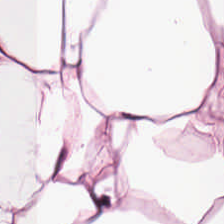H&E — Predominant tissue — adipose tissue.
